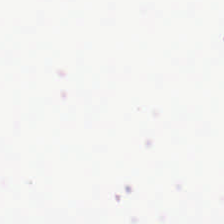H&E-stained tissue section; brightfield microscopy — This field is background (no tissue).
